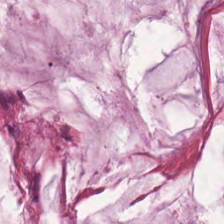0.5 µm/px · 224×224 px patch · hematoxylin and eosin — {"tissue_type": "mucus"}
